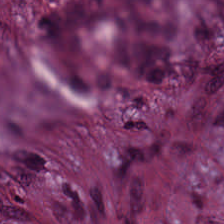The predominant tissue is tumor-associated stroma.
